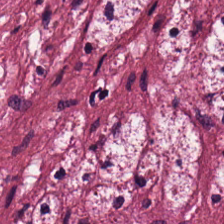H&E. 0.5 µm per pixel — The tissue type is desmoplastic stroma.
